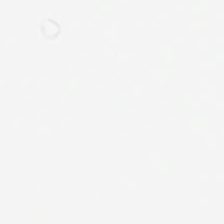H&E-stained tissue section · 224×224 px tile · brightfield — Field content — background (no tissue).
